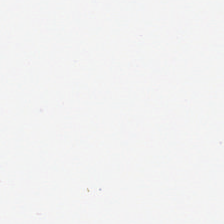H&E-stained tissue section. Field content: no tissue.
